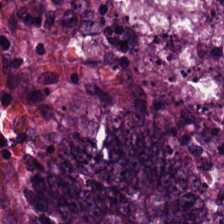Stain: H&E stain.
Predominant tissue: malignant epithelium.
